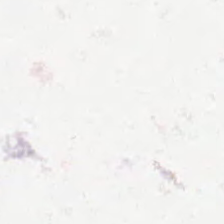Finding → no tissue.
